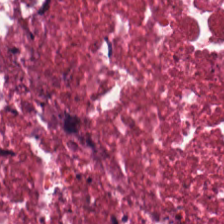Hematoxylin and eosin — Tissue class: cellular debris.
